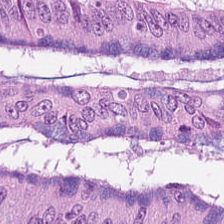H&E-stained tissue section. 20× equivalent magnification. Predominant tissue — malignant epithelium.
